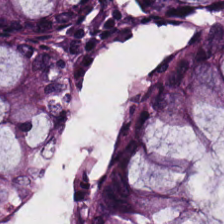Brightfield. 224×224 px tile. H&E — Q: What does this patch show?
A: It is normal colonic mucosa.
